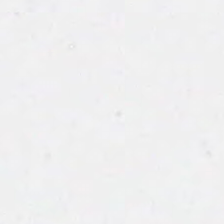WSI patch; H&E-stained tissue section — {"content": "no tissue"}
